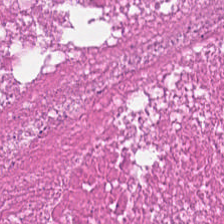H&E patch showing necrotic debris.
